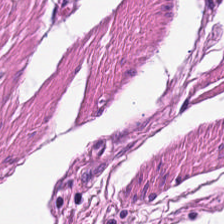Hematoxylin and eosin. 0.5 µm per pixel.
Smooth muscle.
